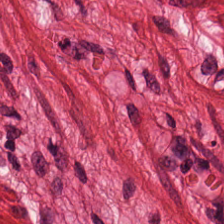Stain: H&E.
Tissue: muscularis.
